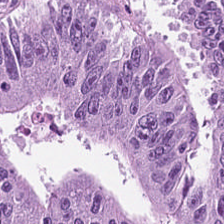{"tissue_type": "malignant epithelium"}
